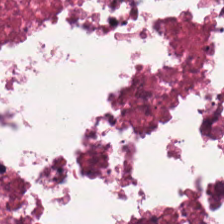Hematoxylin-and-eosin stained section.
Q: Identify the tissue.
A: Necrotic debris.
